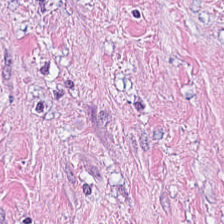20× equivalent magnification · H&E-stained tissue section.
The predominant tissue is cancer-associated stroma.
